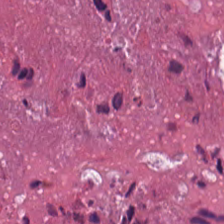0.5 µm/px · H&E — Impression — necrotic debris.
